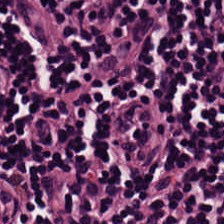H&E — Histology — lymphocyte aggregate.
